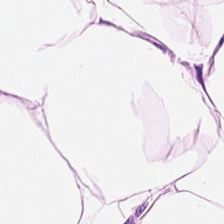H&E-stained tissue section · brightfield.
Q: What type of tissue is this?
A: The field shows adipocytes.
